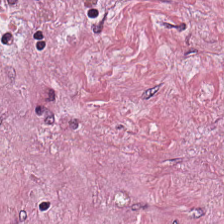The tissue here is tumor stroma.
